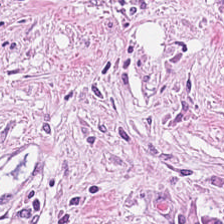H&E. Tissue type = desmoplastic stroma.
